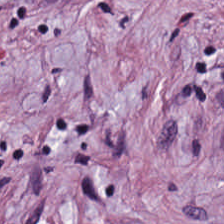Hematoxylin and eosin.
Q: Identify the tissue.
A: It is tumor-associated stroma.
